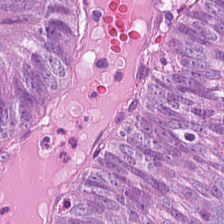H&E-stained tissue section. FFPE. 0.5 µm per pixel — Q: What tissue is shown?
A: Colorectal adenocarcinoma.
